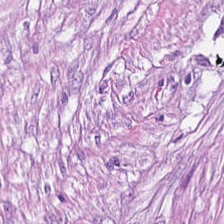Impression — tumor stroma.
